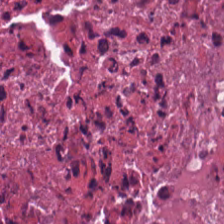Q: What tissue is shown?
A: This is cellular debris.
